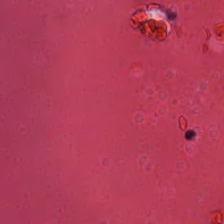224×224 px tile. H&E-stained tissue section.
Q: What tissue type is shown here?
A: Necrotic debris.
